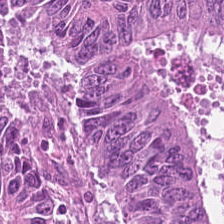Brightfield · FFPE tissue section · H&E-stained tissue section — {"tissue_type": "adenocarcinoma"}
